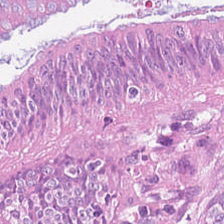H&E stain.
The tissue is adenocarcinoma.
